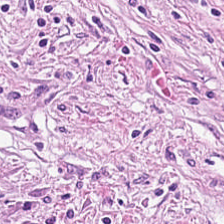Hematoxylin and eosin · 0.5 µm/px · 224×224 px patch. The predominant tissue is tumor stroma.
